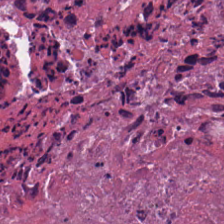H&E stain · 224×224 px tile · 0.5 microns per pixel.
Predominant tissue — debris.
